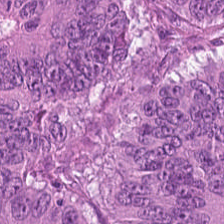0.5 µm per pixel · hematoxylin-and-eosin stained section · FFPE tissue section. Classification: adenocarcinoma.
